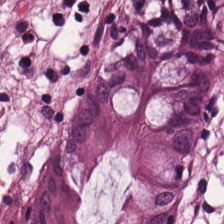H&E-stained tissue section — Q: Identify the tissue.
A: Non-neoplastic colon mucosa.
